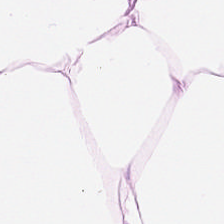H&E-stained tissue section.
This field is adipose tissue.
